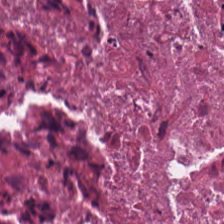224×224 pixel tile. Brightfield. H&E.
The predominant tissue is debris.
